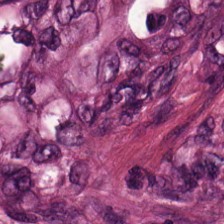Hematoxylin and eosin.
Predominantly desmoplastic stroma.
